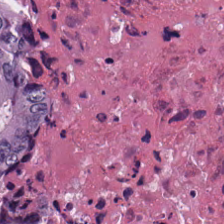Formalin-fixed paraffin-embedded section · H&E-stained tissue section. Tissue type: debris.
